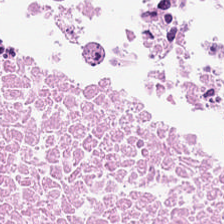H&E — The predominant tissue is cellular debris.
